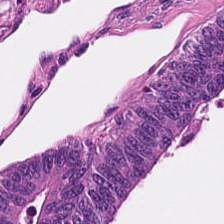Stain: hematoxylin-and-eosin stained section.
Tissue class: colorectal adenocarcinoma.
